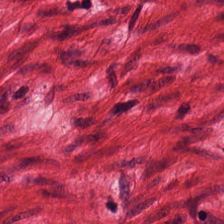Formalin-fixed paraffin-embedded section · whole-slide-image patch · H&E stain — {"tissue_type": "smooth-muscle tissue"}
